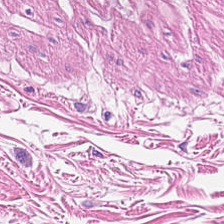224×224 px tile; H&E-stained tissue section — This field is smooth-muscle tissue.
